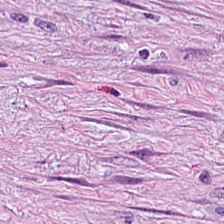Hematoxylin and eosin · brightfield — The tissue here is desmoplastic stroma.
